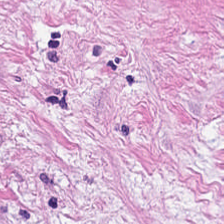0.5 microns per pixel. FFPE tissue section. Hematoxylin and eosin. Impression → desmoplastic stroma.
